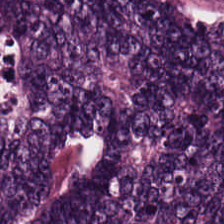Hematoxylin and eosin — Showing colorectal adenocarcinoma epithelium.
